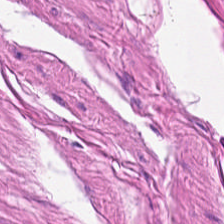Hematoxylin and eosin; whole-slide-image patch.
Smooth-muscle tissue.
